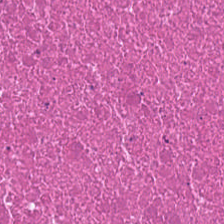Hematoxylin-and-eosin stained section — The tissue here is necrotic debris.
